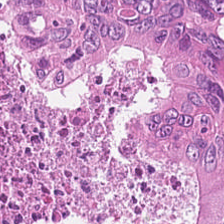Classification = malignant epithelium.
